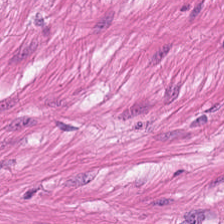H&E-stained tissue section — Smooth muscle.
